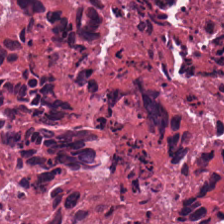Hematoxylin and eosin. Predominant tissue: cellular debris.
